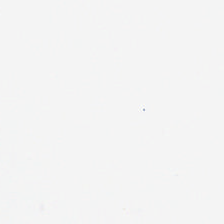Hematoxylin and eosin. Field content = empty background.
